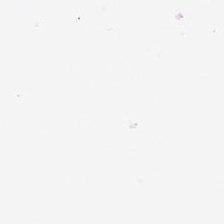Hematoxylin-and-eosin stained section — Q: What does this patch show?
A: It is empty background.
